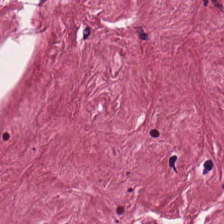H&E-stained tissue section — Finding → desmoplastic stroma.
